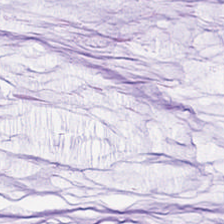H&E patch showing extracellular mucin.
